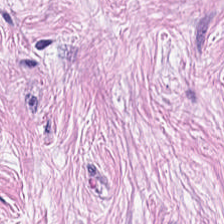Brightfield · hematoxylin-and-eosin stained section · 224×224 px patch.
Cancer-associated stroma.
